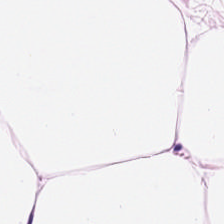Hematoxylin and eosin. Impression → fat tissue.
